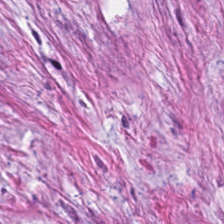Hematoxylin-and-eosin stained section. The predominant tissue is tumor-associated stroma.
